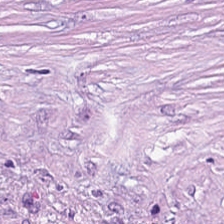This field is desmoplastic stroma.
